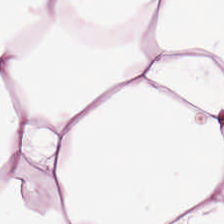Whole-slide-image patch; H&E stain — Tissue type — adipocytes.
